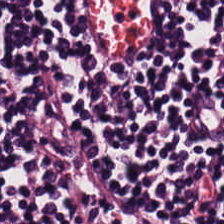Tissue = lymphoid infiltrate.
